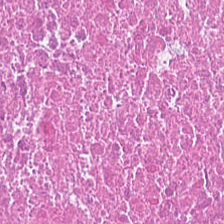0.5 µm/px. FFPE. H&E-stained tissue section. Tissue class — cellular debris.
